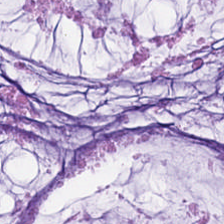H&E stain — The predominant tissue is mucin.
